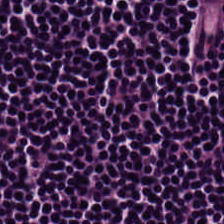Hematoxylin-and-eosin section: lymphocyte aggregate.
